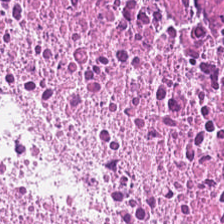WSI patch; 224×224 pixel tile; H&E-stained tissue section.
This patch shows debris.
